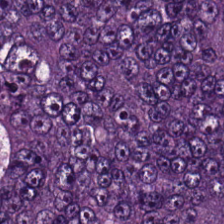Hematoxylin-and-eosin stained section. Classification: malignant epithelium.
